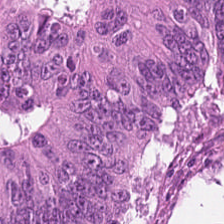Stain: hematoxylin-and-eosin stained section.
Classification: adenocarcinoma.
